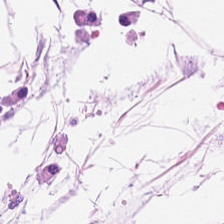H&E stain. The tissue here is adipocytes.
